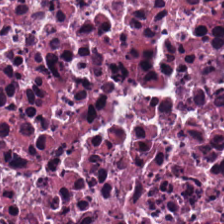Predominantly necrotic debris.
